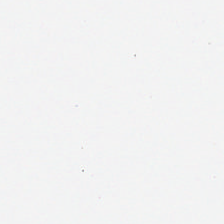Hematoxylin-and-eosin stained section — {"content": "background (no tissue)"}
